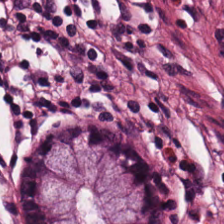Hematoxylin and eosin. This patch shows non-neoplastic colon mucosa.
